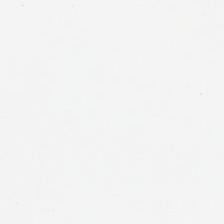Hematoxylin and eosin.
Q: Classify this patch.
A: This is empty background.
